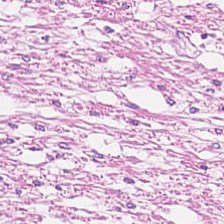H&E-stained section; the field shows smooth-muscle tissue.
